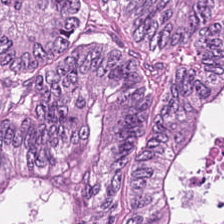Hematoxylin-and-eosin stained section.
The predominant tissue is malignant epithelium.
